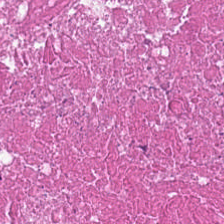H&E patch showing necrotic debris.
